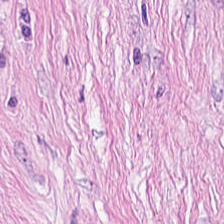FFPE tissue section. Hematoxylin-and-eosin stained section — Classification: tumor stroma.
